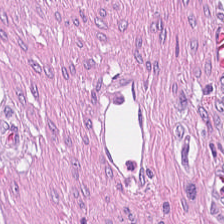H&E stain — Q: What is shown here?
A: It is tumor stroma.
